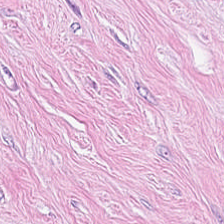H&E-stained tissue section showing tumor stroma.
